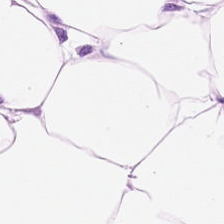H&E — Tissue type = adipose.
